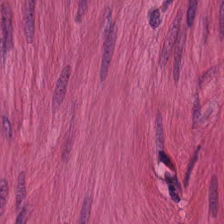Predominantly smooth muscle.
